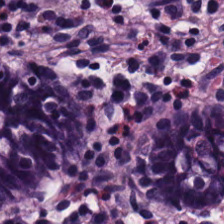WSI patch; hematoxylin-and-eosin stained section.
Predominantly normal colonic mucosa.
